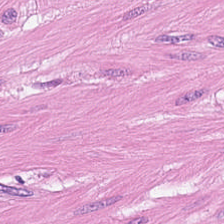Hematoxylin-and-eosin stained section.
{"tissue_type": "smooth muscle"}
